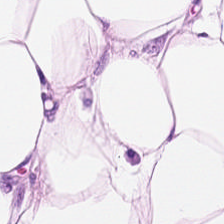Hematoxylin-and-eosin stained section · 224×224 pixel tile · FFPE tissue section.
{"tissue_type": "adipose"}
